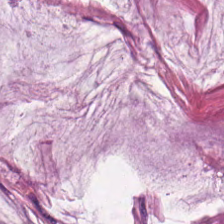H&E-stained tissue section · 224×224 pixel tile. Q: What is shown in this field?
A: Mucin.
